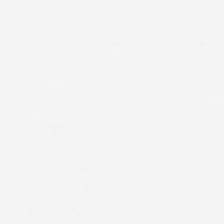Background.
